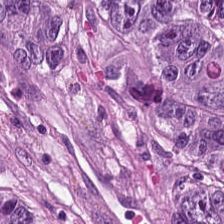H&E. Q: What is the predominant tissue type?
A: It is colorectal adenocarcinoma.
